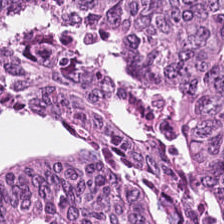Hematoxylin-and-eosin stained section. The predominant tissue is colorectal adenocarcinoma epithelium.
